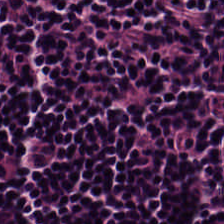FFPE; 224×224 pixel tile; hematoxylin-and-eosin stained section. Q: What tissue is shown?
A: Lymphocytic infiltrate.
